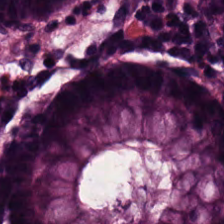Stain: H&E-stained tissue section.
Acquisition: brightfield microscopy.
Tissue type: benign colonic mucosa.
